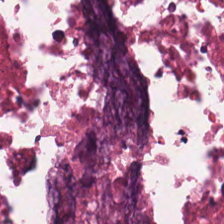Stain: H&E stain.
Classification: necrotic debris.
